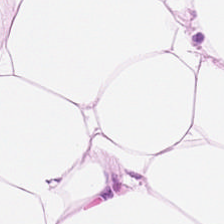Hematoxylin-and-eosin stained section.
Tissue type = adipose tissue.
